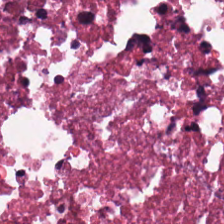Hematoxylin and eosin. 224×224 px patch — This field is cellular debris.
